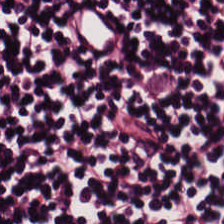20× equivalent magnification; brightfield; hematoxylin-and-eosin stained section — This field is lymphoid infiltrate.
